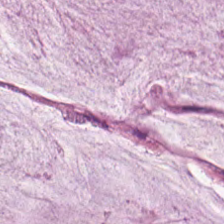H&E — Predominantly extracellular mucin.
